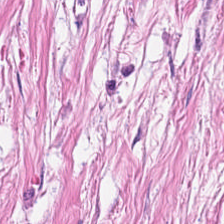The predominant tissue is desmoplastic stroma.
